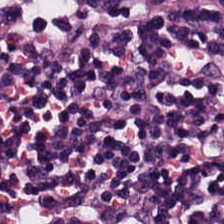The tissue is lymphoid infiltrate.
